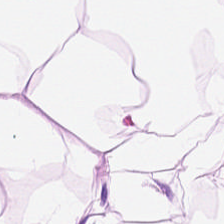H&E-stained section; the field shows fat tissue.
